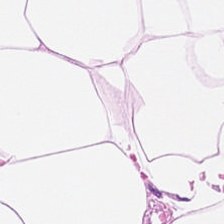0.5 microns per pixel. Hematoxylin-and-eosin stained section — Impression — adipose.
